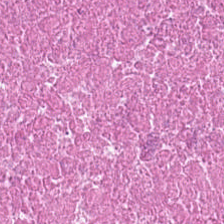Hematoxylin-and-eosin stained section. Tissue class — debris.
